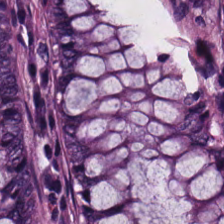H&E stain; WSI patch.
Q: What is shown in this field?
A: The field shows normal colonic mucosa.
